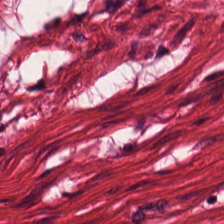H&E stain; brightfield.
Q: Identify the tissue.
A: The field shows smooth muscle.
